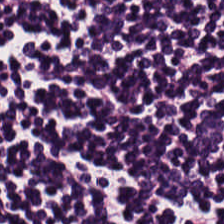H&E-stained tissue section — Tissue — lymphocytes.
